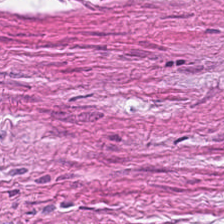224×224 px tile. Hematoxylin and eosin.
{"tissue_type": "tumor stroma"}
